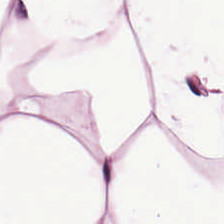Q: What type of tissue is this?
A: It is adipose tissue.
